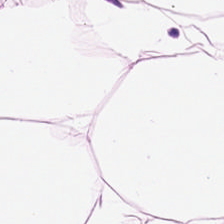Tissue — fat tissue.
